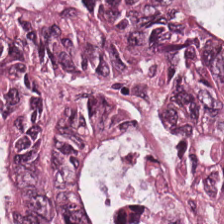224×224 px patch · hematoxylin-and-eosin stained section · 0.5 µm/px — Finding → colorectal adenocarcinoma.
